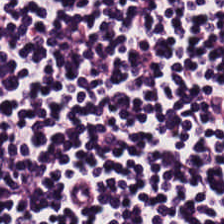H&E-stained tissue section.
This patch shows lymphocytes.
